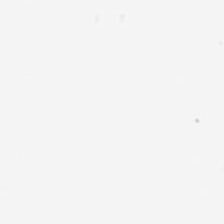H&E stain. The classification is empty background.
